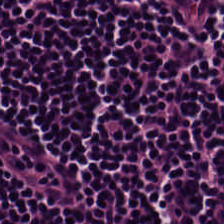H&E · 0.5 microns per pixel · FFPE tissue section — Lymphocytic infiltrate.
